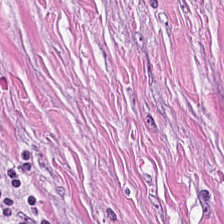Hematoxylin and eosin — Tissue type — tumor stroma.
